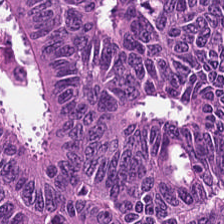H&E stain.
Q: What does this patch show?
A: This is tumor epithelium.
